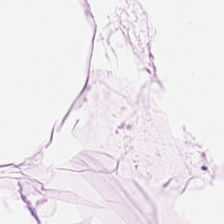This field is adipocytes.
